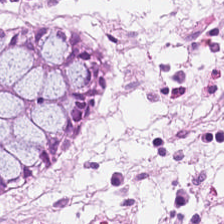Tissue = normal colon mucosa.
